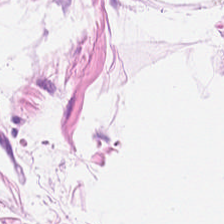FFPE · H&E-stained tissue section — Showing adipose tissue.
